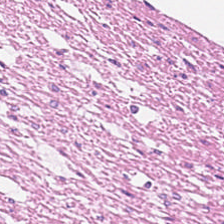H&E stain.
The tissue class is muscularis.
